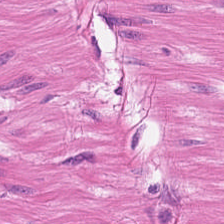Showing muscularis.
